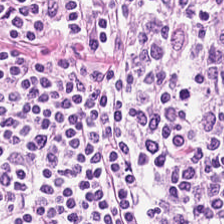20× equivalent magnification · WSI patch · H&E — The predominant tissue is lymphocytic infiltrate.
